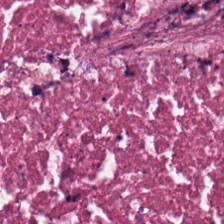H&E stain · brightfield.
The tissue class is debris.
